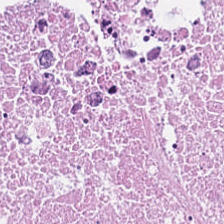Hematoxylin and eosin · whole-slide-image patch · 0.5 microns per pixel. {"tissue_type": "necrotic debris"}
